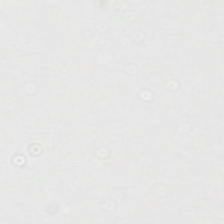H&E stain · brightfield · 224×224 pixel tile. Q: What does this patch show?
A: This is background (no tissue).
